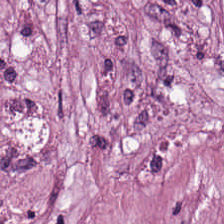H&E stain; 0.5 µm per pixel.
Desmoplastic stroma.
